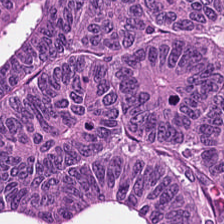0.5 µm/px. 224×224 pixel tile. H&E. Q: Classify this patch.
A: It is colorectal adenocarcinoma.
